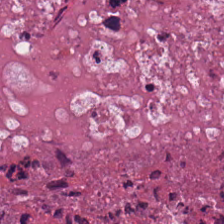0.5 µm/px. Hematoxylin-and-eosin stained section.
Tissue type — cellular debris.
